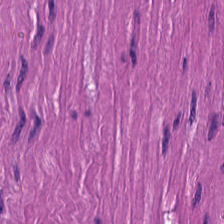H&E. This field is muscularis.
